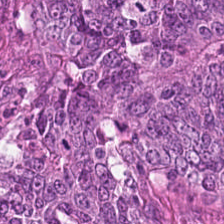H&E stain. Tissue — colorectal adenocarcinoma.
